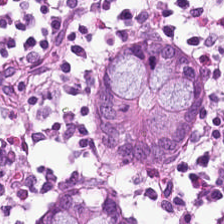Hematoxylin-and-eosin stained section. Histology → normal colonic mucosa.
